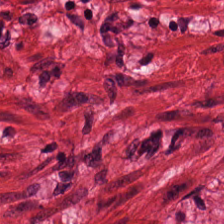H&E stain.
This patch shows smooth-muscle tissue.
